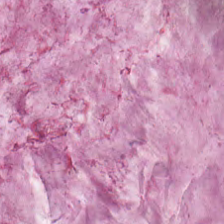Stain: H&E-stained tissue section.
Tile size: 224×224 px patch.
Tissue: extracellular mucin.
